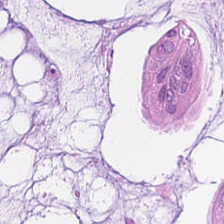0.5 microns per pixel · hematoxylin and eosin. This field is mucus.
